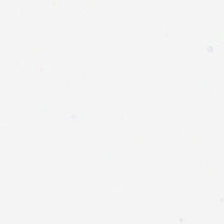Brightfield microscopy; 0.5 microns per pixel; H&E stain — Finding → background.
